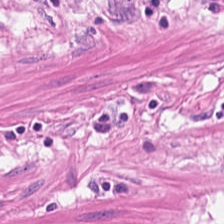Showing smooth-muscle tissue.
